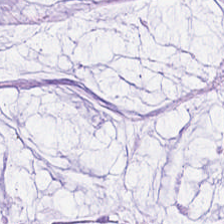H&E stain — Q: What type of tissue is this?
A: This is extracellular mucin.
